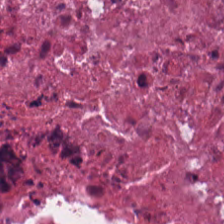Q: Identify the tissue.
A: Cellular debris.
